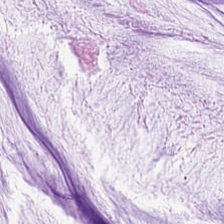224×224 px tile; hematoxylin-and-eosin stained section; WSI patch. Impression → mucin.
